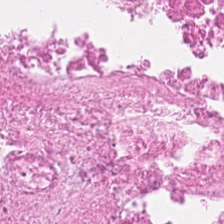Finding — cellular debris.
